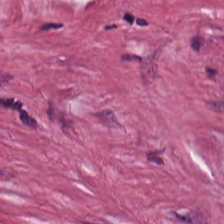FFPE. H&E stain.
Tissue class: tumor stroma.
